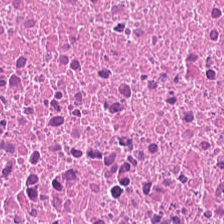The tissue here is necrotic debris.
